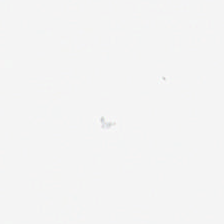Q: What is shown in this field?
A: The field shows background (no tissue).
